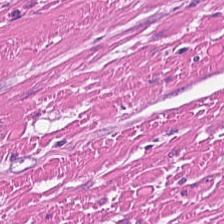The tissue is smooth muscle.
